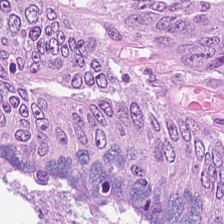H&E stain — This field is tumor epithelium.
